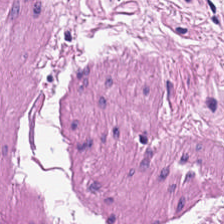H&E-stained tissue section.
Q: Classify this patch.
A: The field shows smooth-muscle tissue.
